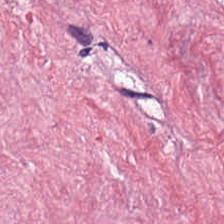Histology — cancer-associated stroma.
